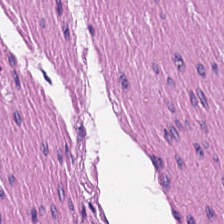Hematoxylin and eosin — The predominant tissue is smooth muscle.
